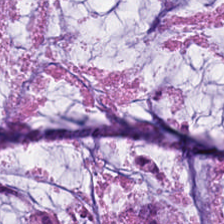Hematoxylin and eosin · formalin-fixed paraffin-embedded section — Tissue class: extracellular mucin.
